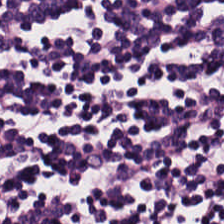Hematoxylin-and-eosin stained section. Tissue class — lymphocytes.
